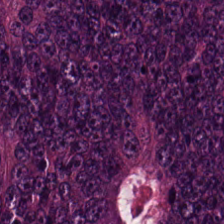H&E-stained tissue section.
Classification — colorectal adenocarcinoma.
